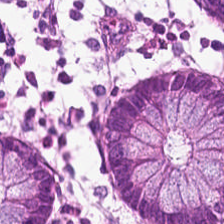H&E stain. FFPE. Finding — benign colonic mucosa.
